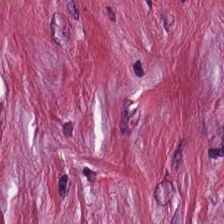Stain: hematoxylin-and-eosin stained section.
Predominant tissue: tumor stroma.
